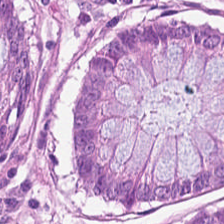Impression → non-neoplastic colon mucosa.
